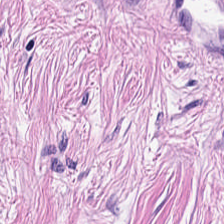FFPE; H&E-stained tissue section. Q: What tissue is shown?
A: Tumor-associated stroma.
